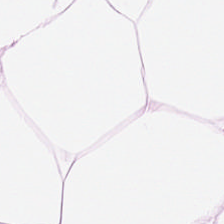Hematoxylin and eosin. 224×224 px patch.
Showing fat tissue.
